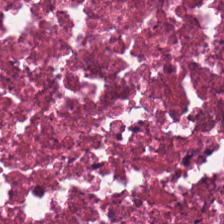Hematoxylin and eosin. The tissue here is debris.
